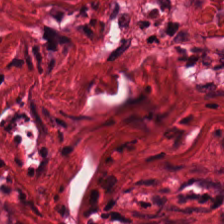Hematoxylin-and-eosin stained section; 224×224 pixel tile; FFPE.
This patch shows tumor-associated stroma.
